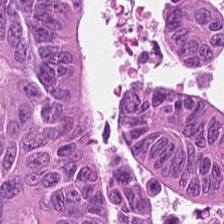Formalin-fixed paraffin-embedded section. Hematoxylin-and-eosin stained section.
{"tissue_type": "colorectal adenocarcinoma"}
